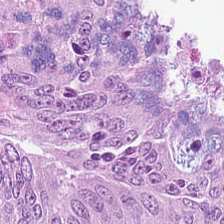Adenocarcinoma.
